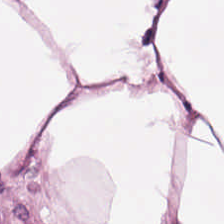Tissue: adipose tissue.
